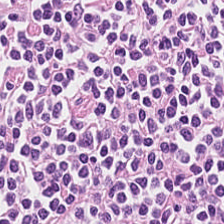H&E stain; FFPE; brightfield. Tissue — lymphocytic infiltrate.
